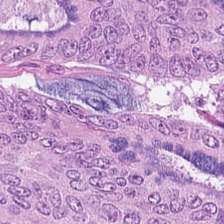H&E-stained tissue section. Tissue — malignant epithelium.
